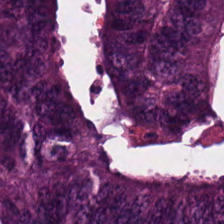H&E stain; whole-slide-image patch; FFPE. Impression — colorectal adenocarcinoma epithelium.
